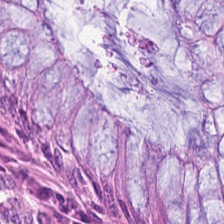FFPE tissue section · hematoxylin and eosin · 224×224 pixel tile — Q: Identify the tissue.
A: This is benign colonic mucosa.
